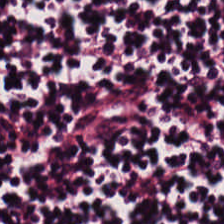H&E-stained tissue section. This field is lymphocytes.
